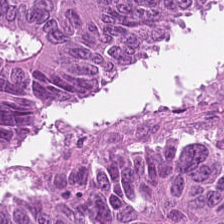224×224 px patch. 0.5 µm per pixel. H&E. Q: What is the predominant tissue type?
A: It is adenocarcinoma.
